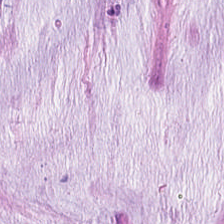H&E. WSI patch.
This field is mucus.
